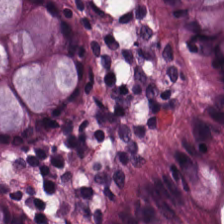H&E stain — Q: What is the predominant tissue type?
A: It is non-neoplastic colon mucosa.
